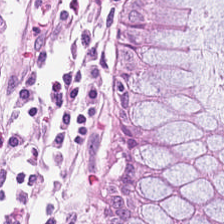Finding → normal colonic mucosa.
